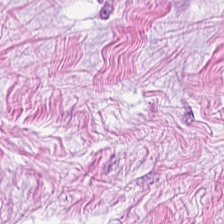Stain: hematoxylin-and-eosin stained section.
Acquisition: brightfield microscopy.
Predominant tissue: desmoplastic stroma.
